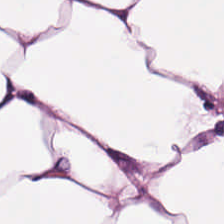FFPE · 224×224 px tile · H&E-stained tissue section.
Showing adipose.
